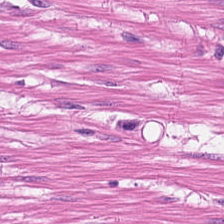224×224 px patch · hematoxylin and eosin — Smooth muscle.
